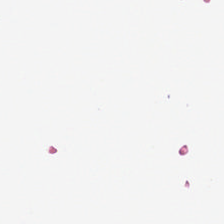Hematoxylin and eosin · 0.5 microns per pixel. Content — background.
